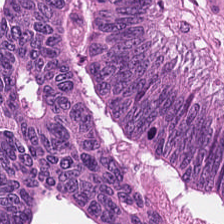H&E stain.
Predominantly malignant epithelium.
